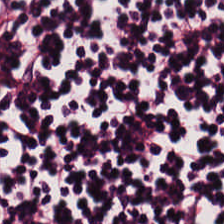Hematoxylin-and-eosin stained section.
Histology — lymphocyte aggregate.
